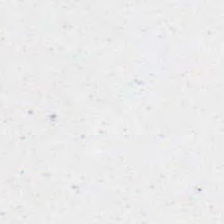20× equivalent magnification · H&E stain.
Background — no tissue in this field.
